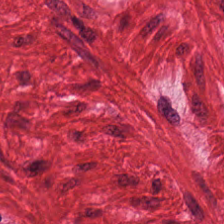224×224 px patch · H&E-stained tissue section · 20× equivalent magnification. Showing smooth-muscle tissue.
